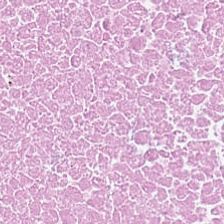20× equivalent magnification. H&E stain. FFPE. This patch shows necrotic debris.
